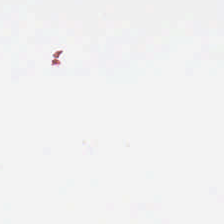This field is background (no tissue).
